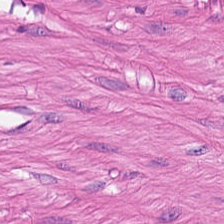H&E.
Q: What tissue is shown?
A: Smooth-muscle tissue.
